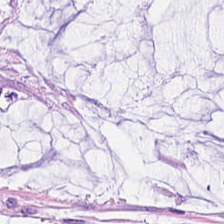H&E. WSI patch. Histology → extracellular mucin.
